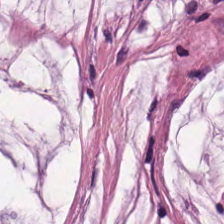Stain: H&E stain.
Predominant tissue: mucin.
